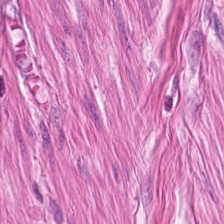Stain: H&E stain.
Tile size: 224×224 px patch.
Classification: smooth-muscle tissue.
